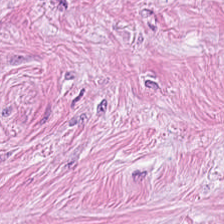Impression — cancer-associated stroma.
